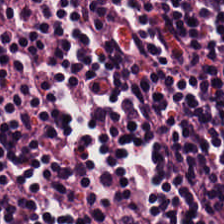Hematoxylin-and-eosin stained section; 20× equivalent magnification.
Q: What is shown in this field?
A: The field shows lymphocyte aggregate.
